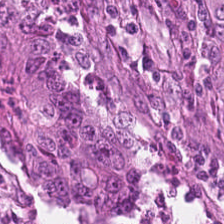H&E stain. FFPE — Q: What is shown here?
A: Malignant epithelium.
